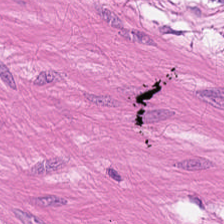Predominantly smooth muscle.
